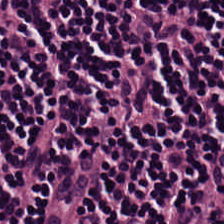Hematoxylin and eosin — The tissue here is lymphocytic infiltrate.
